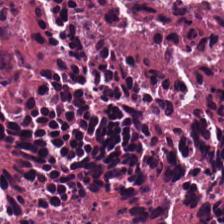Stain: hematoxylin and eosin.
Predominant tissue: necrotic debris.
